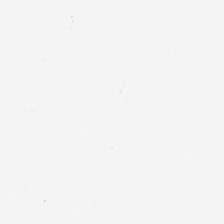{"content": "no tissue"}
